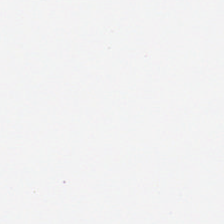Hematoxylin and eosin. Formalin-fixed paraffin-embedded section — This field is background (no tissue).
